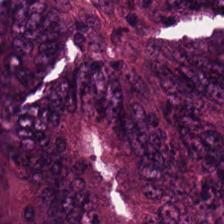H&E stain. Q: Classify this patch.
A: Colorectal adenocarcinoma.
